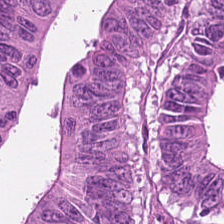FFPE; H&E stain. The tissue class is adenocarcinoma.
